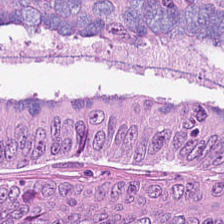Hematoxylin and eosin. This patch shows adenocarcinoma.
